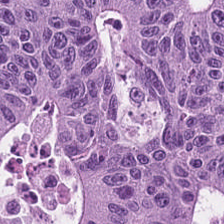This field is colorectal adenocarcinoma.
